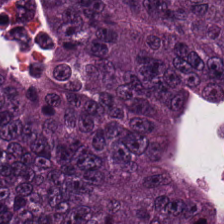Impression → colorectal adenocarcinoma.
